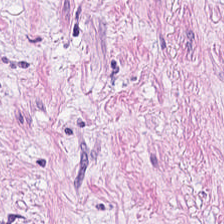H&E — Tissue = cancer-associated stroma.
